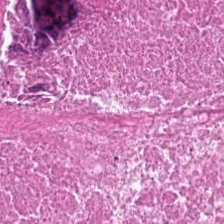Whole-slide-image patch. H&E.
This patch shows necrotic debris.
